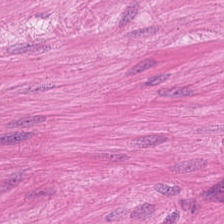H&E — Smooth-muscle tissue.
